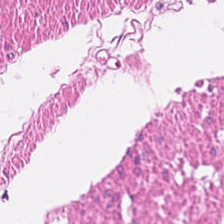H&E. The classification is smooth muscle.
